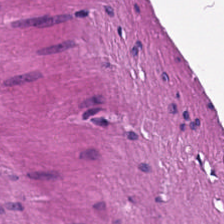H&E — Impression → smooth-muscle tissue.
